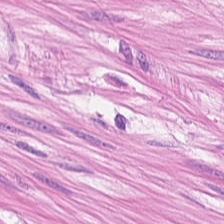WSI patch; H&E; FFPE tissue section. Tissue class: muscularis.
